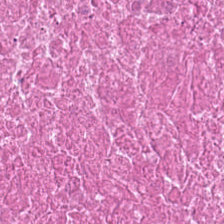H&E.
This field is necrotic debris.
